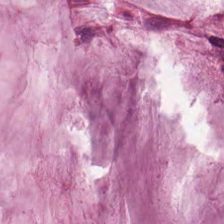0.5 µm per pixel · brightfield · H&E.
Showing mucin.
